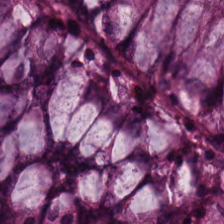20× equivalent magnification · hematoxylin-and-eosin stained section. Tissue class: normal colonic mucosa.
